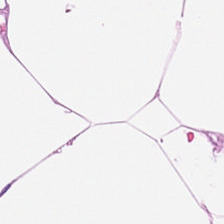H&E. Showing adipose.
